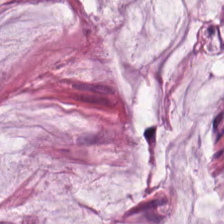Stain: H&E-stained tissue section.
Resolution: 0.5 µm/px.
Tile size: 224×224 pixel tile.
Tissue: mucin.
